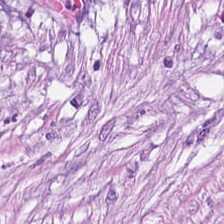0.5 µm/px · H&E-stained tissue section.
Predominantly desmoplastic stroma.
